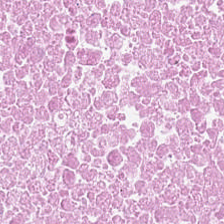{"tissue_type": "cellular debris"}
